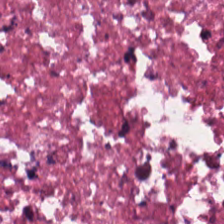H&E — Finding → debris.
